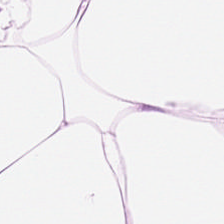H&E stain. 0.5 µm/px — Tissue = adipose.
